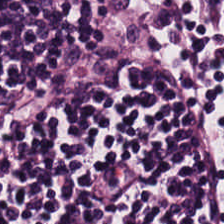H&E-stained tissue section; brightfield. Q: What is shown here?
A: The field shows lymphocytes.
